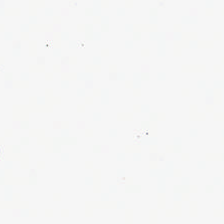FFPE. H&E-stained tissue section. WSI patch. Q: What is shown here?
A: This is no tissue.
